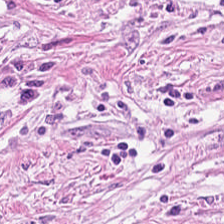Hematoxylin and eosin. 224×224 px tile. Classification = tumor stroma.
